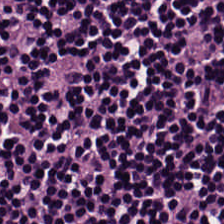Formalin-fixed paraffin-embedded section; hematoxylin-and-eosin stained section. Tissue = lymphocyte aggregate.
